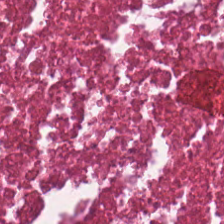Hematoxylin-and-eosin stained section — Predominant tissue: cellular debris.
